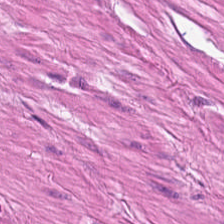Stain: hematoxylin and eosin.
Classification: muscularis.
